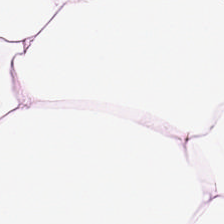Hematoxylin-and-eosin stained section; WSI patch; 20× equivalent magnification.
Showing adipocytes.
